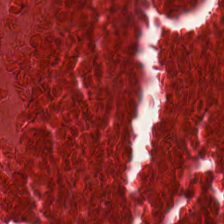224×224 px tile; hematoxylin-and-eosin stained section — {"tissue_type": "debris"}
